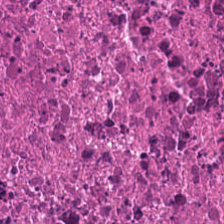20× equivalent magnification; brightfield; H&E. The tissue here is debris.
